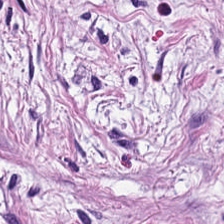Stain: hematoxylin-and-eosin stained section.
Resolution: 0.5 microns per pixel.
Classification: cancer-associated stroma.
